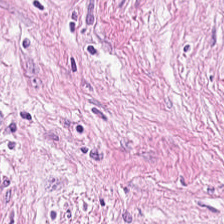The tissue type is cancer-associated stroma.
